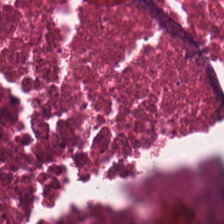Stain: H&E stain.
Tissue type: debris.
